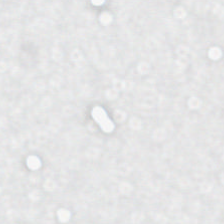Brightfield. Hematoxylin-and-eosin stained section. This field is background (no tissue).
